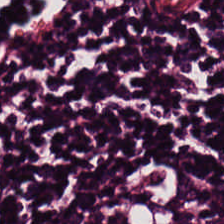The tissue class is lymphocytes.
